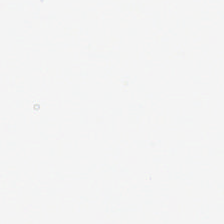H&E.
No tissue present; background only.
